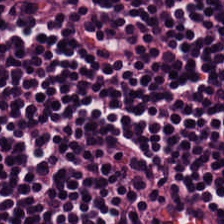0.5 µm/px. 224×224 px patch. Hematoxylin-and-eosin stained section.
Q: What is the predominant tissue type?
A: Lymphoid infiltrate.
